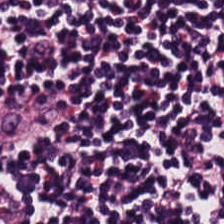H&E.
Predominantly lymphocyte aggregate.
